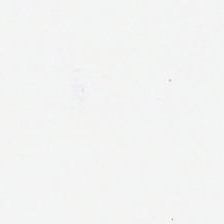Formalin-fixed paraffin-embedded section · hematoxylin and eosin. Background.
